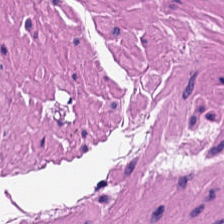H&E stain; formalin-fixed paraffin-embedded section — The tissue here is muscularis.
